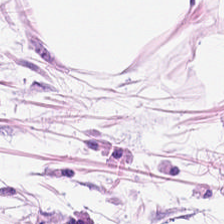H&E — adipose.
